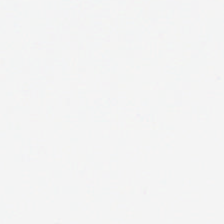FFPE; H&E-stained tissue section — Q: What is shown in this field?
A: This is no tissue.
